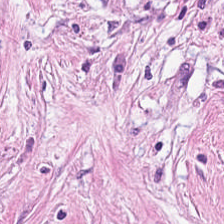Stain: H&E-stained tissue section.
Tile size: 224×224 px patch.
Classification: tumor-associated stroma.
